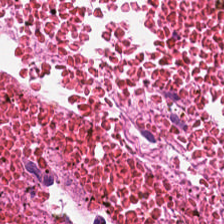H&E stain. This patch shows debris.
